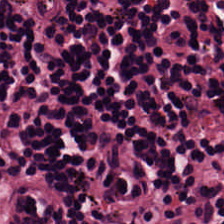Tissue = lymphocytic infiltrate.
